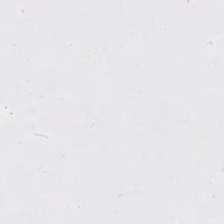224×224 px patch; hematoxylin and eosin; FFPE.
Background (no tissue).
